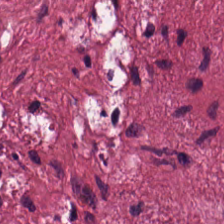H&E stain · 0.5 µm per pixel · 224×224 px tile. The tissue type is tumor stroma.
